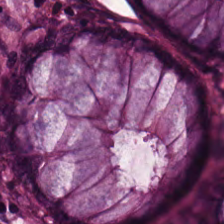0.5 µm per pixel. H&E stain. The tissue type is normal colon mucosa.
